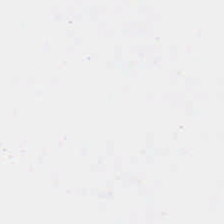Classification — background (no tissue).
